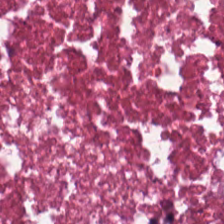Histology — necrotic debris.
